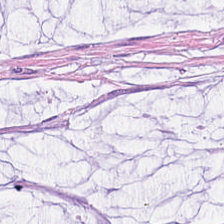The predominant tissue is extracellular mucin.
